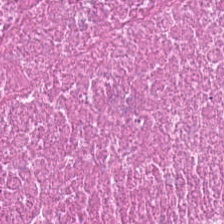Hematoxylin and eosin. FFPE.
The classification is necrotic debris.
